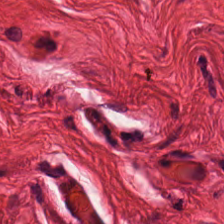H&E — Tissue class = smooth-muscle tissue.
